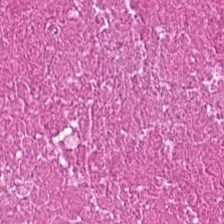The predominant tissue is cellular debris.
